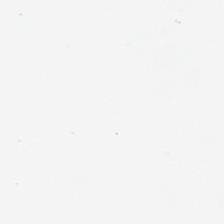H&E stain — {"content": "empty background"}
